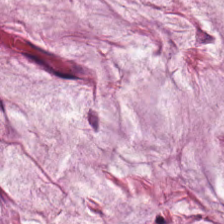Hematoxylin and eosin; 224×224 px patch; 0.5 µm/px. Q: Classify this patch.
A: This is extracellular mucin.
